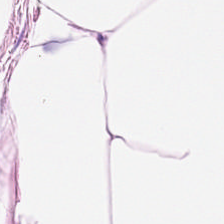Hematoxylin and eosin. Fat tissue.
